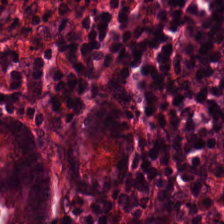Tissue type — normal colonic mucosa.
